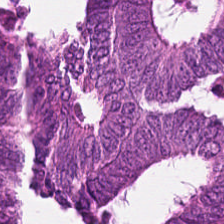0.5 microns per pixel · H&E · brightfield — Finding → malignant epithelium.
